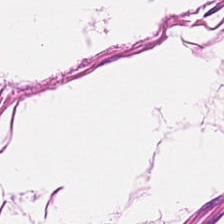Brightfield · hematoxylin and eosin — Q: What is shown here?
A: It is smooth-muscle tissue.
